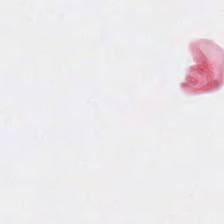Formalin-fixed paraffin-embedded section · H&E · brightfield microscopy.
Content = no tissue.
